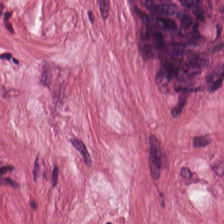H&E — Finding — tumor-associated stroma.
